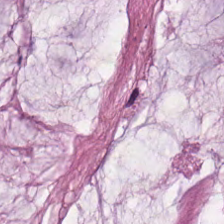H&E-stained section; the field shows mucin.
